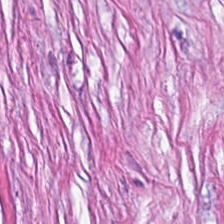H&E — desmoplastic stroma.
